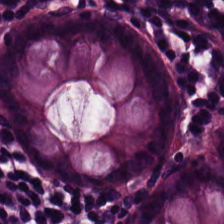H&E stain — Classification = normal colonic mucosa.
